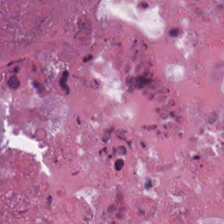224×224 px patch · H&E-stained tissue section · 0.5 microns per pixel. Predominantly necrotic debris.
